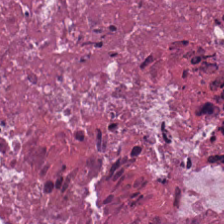Brightfield microscopy. H&E stain.
The classification is debris.
